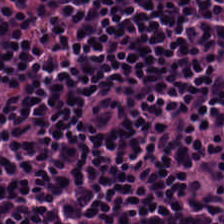This patch shows lymphocytes.
